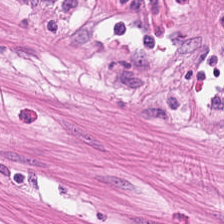H&E · brightfield microscopy. Q: What tissue is shown?
A: It is muscularis.
